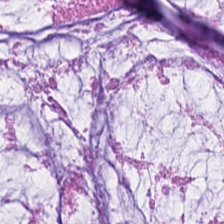FFPE · hematoxylin and eosin — Q: What tissue type is shown here?
A: The field shows mucin.
